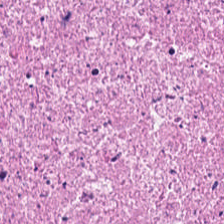Hematoxylin-and-eosin stained section. Finding — cellular debris.
